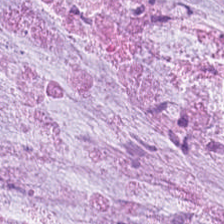H&E stain — Tissue class: mucus.
